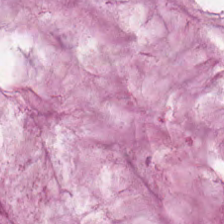Hematoxylin and eosin. Showing mucin.
